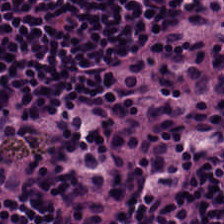The classification is lymphocytic infiltrate.
